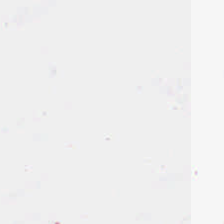Formalin-fixed paraffin-embedded section; H&E. Background — no tissue in this field.
